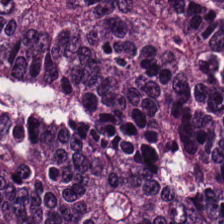Tissue class: colorectal adenocarcinoma epithelium.
